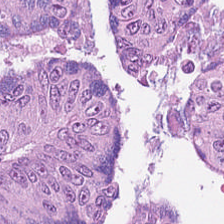H&E-stained tissue section. Tissue — adenocarcinoma.
